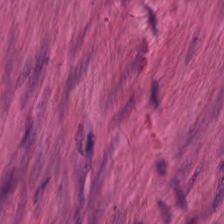H&E — smooth muscle.
